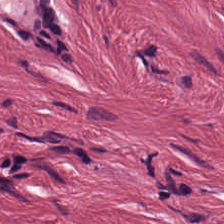Q: What is shown in this field?
A: This is tumor-associated stroma.
